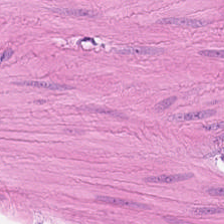224×224 px patch; hematoxylin-and-eosin stained section. Tissue class — smooth-muscle tissue.
